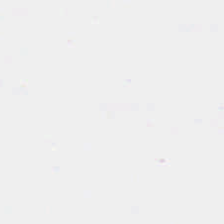Empty field — background.
